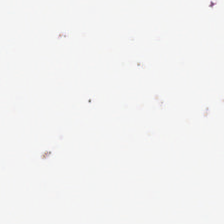H&E stain — Q: What is shown here?
A: This is background.
